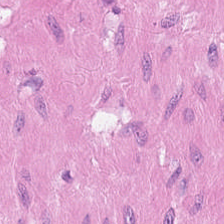H&E stain — This field is smooth muscle.
